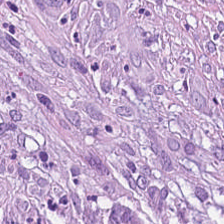Hematoxylin and eosin. Formalin-fixed paraffin-embedded section. Whole-slide-image patch.
Q: Identify the tissue.
A: It is tumor-associated stroma.
